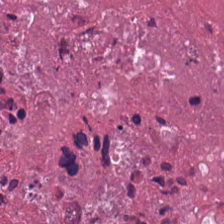WSI patch; 20× equivalent magnification; H&E-stained tissue section. The tissue here is cellular debris.
